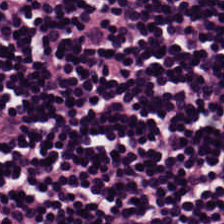Q: What is shown in this field?
A: The field shows lymphoid infiltrate.
